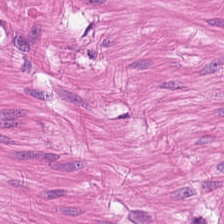Hematoxylin and eosin; FFPE — Q: Classify this patch.
A: This is smooth muscle.
